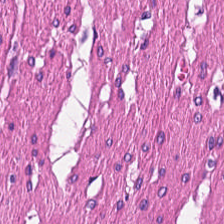Whole-slide-image patch; hematoxylin-and-eosin stained section. Q: Classify this patch.
A: Muscularis.
